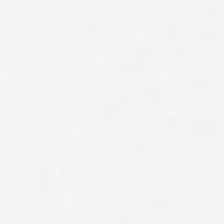Impression — background.
